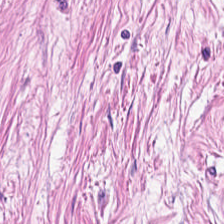Hematoxylin-and-eosin stained section.
Tissue class = tumor stroma.
